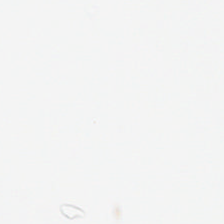Hematoxylin-and-eosin stained section.
Impression — empty background.
